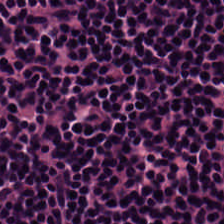H&E stain.
Predominantly lymphocytes.
